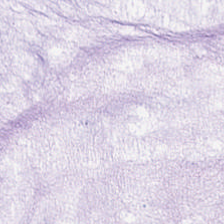H&E-stained tissue section. The tissue is mucin.
